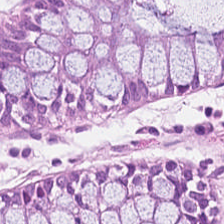H&E. Normal colon mucosa.
